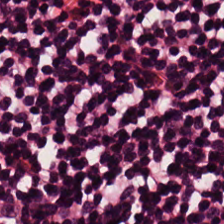Hematoxylin and eosin. 224×224 px patch. WSI patch — Impression → lymphoid infiltrate.
